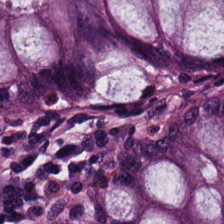H&E.
Predominantly non-neoplastic colon mucosa.
